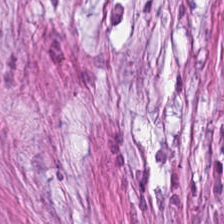H&E-stained tissue section showing desmoplastic stroma.
